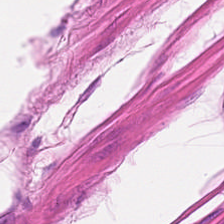Q: What is the predominant tissue type?
A: This is smooth-muscle tissue.
